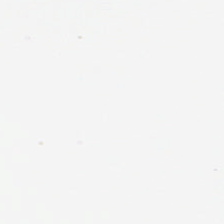Content = background (no tissue).
